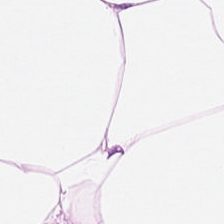H&E stain — {"tissue_type": "fat tissue"}
